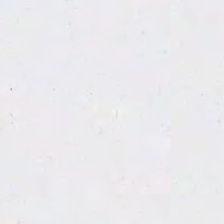20× equivalent magnification; formalin-fixed paraffin-embedded section; H&E stain — No tissue present; background only.
